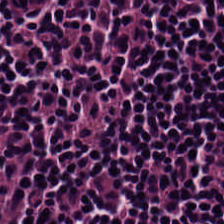Hematoxylin-and-eosin stained section. WSI patch.
Predominant tissue: lymphocytes.
